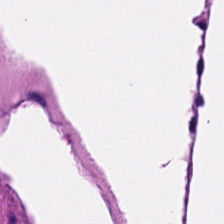H&E.
The tissue here is smooth muscle.
